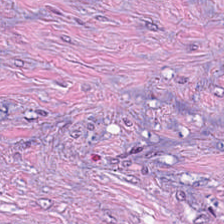Hematoxylin-and-eosin stained section. Tissue type = desmoplastic stroma.
